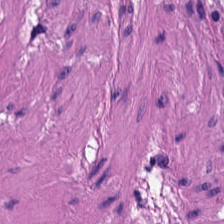WSI patch · 0.5 microns per pixel · H&E stain. Smooth muscle.
